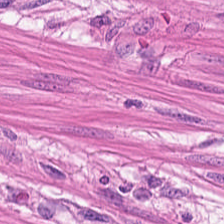224×224 pixel tile. H&E stain. Showing smooth-muscle tissue.
